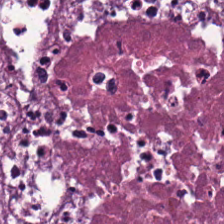Stain: H&E stain.
Tissue: debris.
